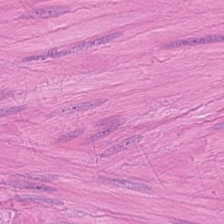224×224 px tile · hematoxylin-and-eosin stained section. Predominantly smooth-muscle tissue.
